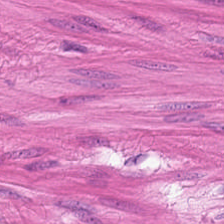The tissue type is smooth-muscle tissue.
